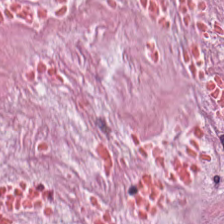Tissue = desmoplastic stroma.
